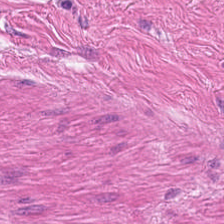H&E-stained tissue section.
{"tissue_type": "muscularis"}
